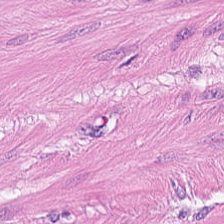H&E — Impression — muscularis.
